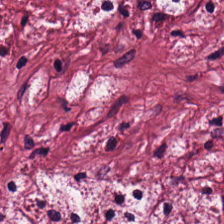H&E-stained tissue section · formalin-fixed paraffin-embedded section · 20× equivalent magnification.
Tissue type: tumor-associated stroma.
